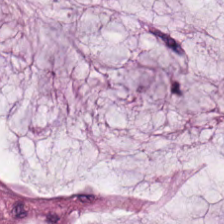WSI patch. Hematoxylin and eosin — The tissue here is mucus.
